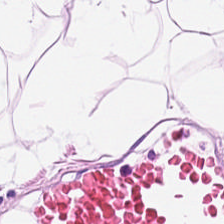FFPE. Hematoxylin-and-eosin stained section. 20× equivalent magnification.
Tissue type: adipose tissue.
